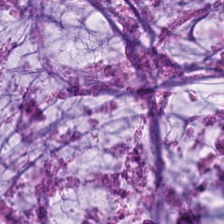FFPE tissue section; H&E. Tissue type = mucin.
